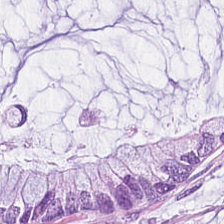{"tissue_type": "mucin"}
